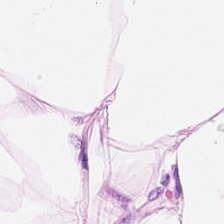WSI patch; hematoxylin and eosin; 224×224 px patch. Tissue class = adipocytes.
